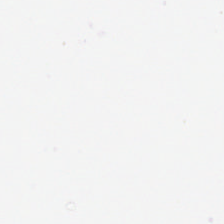Content — background.
